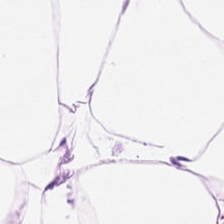Hematoxylin-and-eosin stained section. Predominant tissue: adipocytes.
